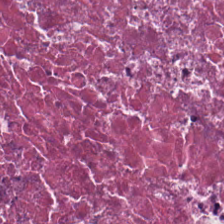Stain: hematoxylin-and-eosin stained section.
Tissue type: debris.
